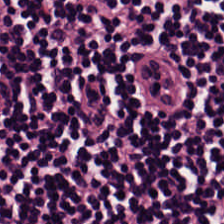H&E stain. This patch shows lymphoid infiltrate.
